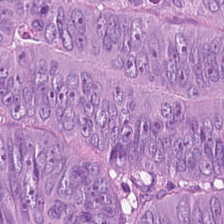Hematoxylin and eosin. Q: What is the predominant tissue type?
A: This is malignant epithelium.
